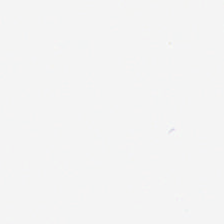H&E stain — Classification = empty background.
